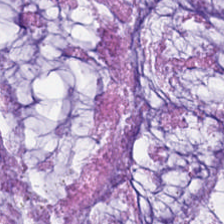Showing mucus.
